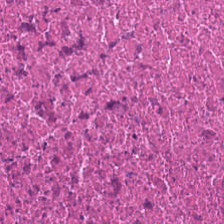H&E stain. Brightfield microscopy — This patch shows cellular debris.
